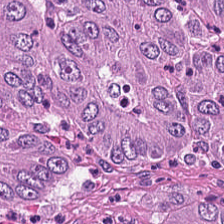Whole-slide-image patch · H&E stain · formalin-fixed paraffin-embedded section.
Classification — tumor epithelium.
